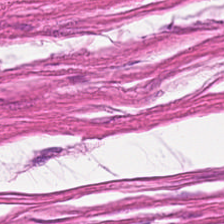H&E-stained tissue section. Predominant tissue — muscularis.
